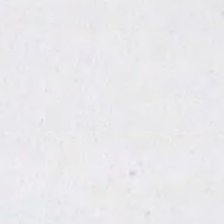0.5 µm per pixel. H&E-stained tissue section. Brightfield microscopy.
This field is background (no tissue).
